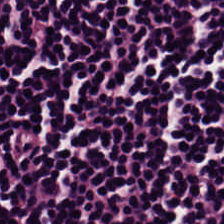Hematoxylin and eosin.
Showing lymphocyte aggregate.
